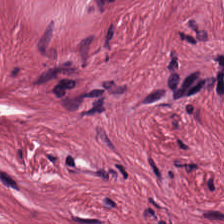FFPE tissue section. H&E-stained tissue section. 0.5 µm/px. Q: Classify this patch.
A: It is desmoplastic stroma.
